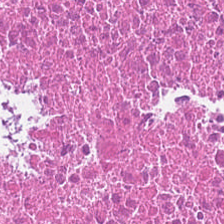Q: What is the predominant tissue type?
A: It is necrotic debris.
